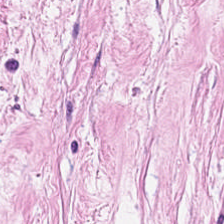H&E. Histology → cancer-associated stroma.
